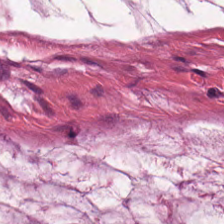Showing extracellular mucin.
